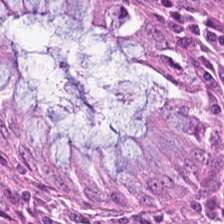Predominantly normal colon mucosa.
